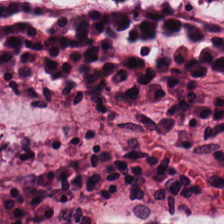Stain: H&E stain.
Acquisition: whole-slide-image patch.
Tissue: benign colonic mucosa.
